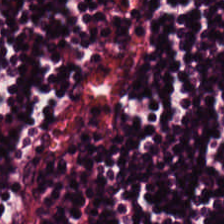Classification — lymphoid infiltrate.
